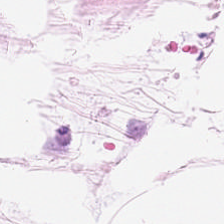H&E. Tissue = adipose.
